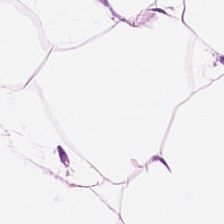Formalin-fixed paraffin-embedded section. Hematoxylin and eosin — Impression — fat tissue.
